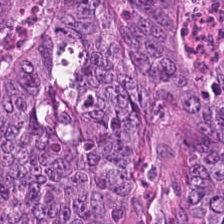{"tissue_type": "adenocarcinoma"}
